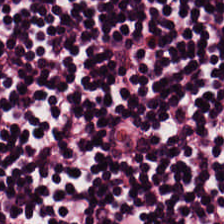Finding — lymphoid infiltrate.
